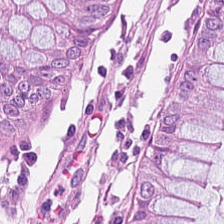Q: Classify this patch.
A: It is normal colonic mucosa.
